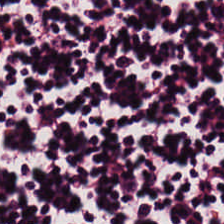WSI patch. Hematoxylin and eosin — Q: What does this patch show?
A: The field shows lymphocytes.
